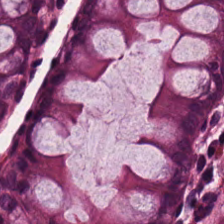WSI patch · H&E. This patch shows normal colon mucosa.
